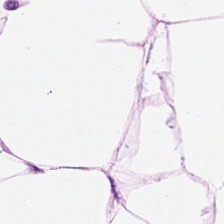0.5 µm/px · H&E-stained tissue section. Impression — adipose tissue.
